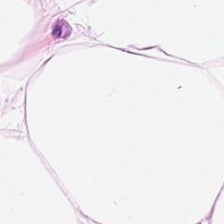Hematoxylin-and-eosin stained section; FFPE — Predominantly adipocytes.
